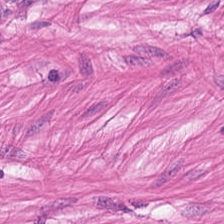Q: What is shown in this field?
A: This is smooth-muscle tissue.
